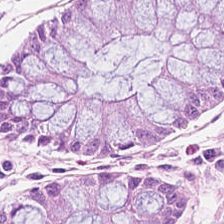Hematoxylin and eosin. Classification: benign colonic mucosa.
